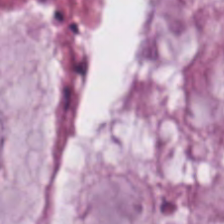Whole-slide-image patch; H&E. The classification is extracellular mucin.
